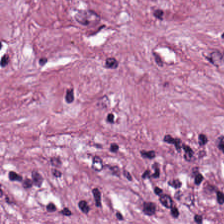Hematoxylin and eosin. Q: What is shown in this field?
A: It is desmoplastic stroma.
